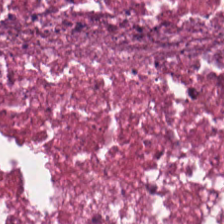H&E. 0.5 µm/px. Tissue class: cellular debris.
